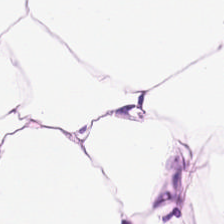H&E — Finding → fat tissue.
